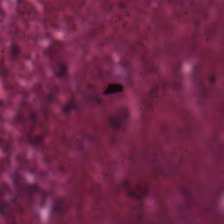FFPE. Hematoxylin-and-eosin stained section.
Showing necrotic debris.
